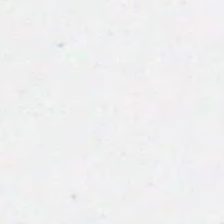H&E; 0.5 µm per pixel. This patch shows background (no tissue).
